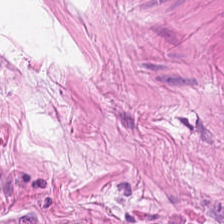H&E stain.
Predominant tissue: smooth muscle.
